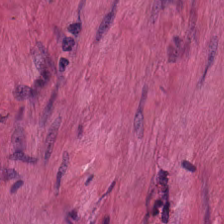H&E-stained tissue section.
Predominantly smooth muscle.
